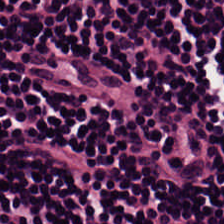0.5 microns per pixel · H&E stain.
The tissue here is lymphoid infiltrate.
